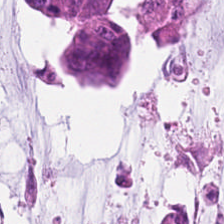Hematoxylin-and-eosin stained section.
Predominant tissue = mucin.
